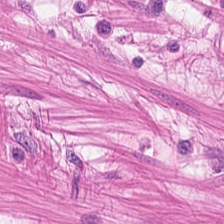H&E stain.
Finding → muscularis.
